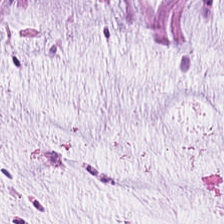Stain: H&E stain.
Preparation: formalin-fixed paraffin-embedded section.
Tissue class: mucus.
